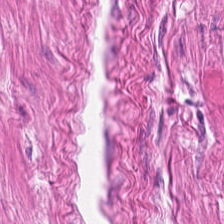H&E-stained section; the field shows muscularis.
